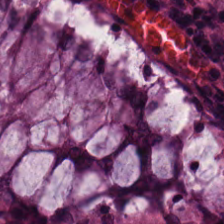H&E-stained tissue section · 224×224 pixel tile. Classification = non-neoplastic colon mucosa.
